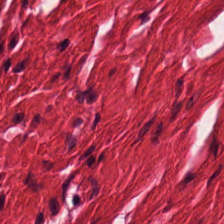H&E-stained tissue section; FFPE tissue section; 224×224 px tile.
The predominant tissue is smooth-muscle tissue.
